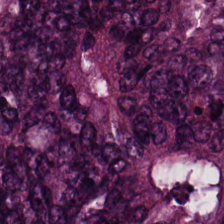Finding → malignant epithelium.
